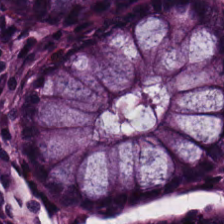Formalin-fixed paraffin-embedded section. H&E stain — Normal colonic mucosa.
